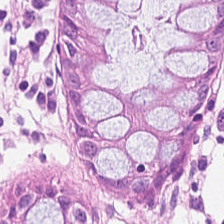H&E-stained tissue section.
Q: What tissue is shown?
A: Normal colon mucosa.
